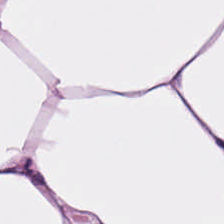Hematoxylin-and-eosin stained section — Finding — adipose tissue.
